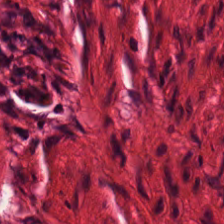Q: Identify the tissue.
A: The field shows smooth muscle.
